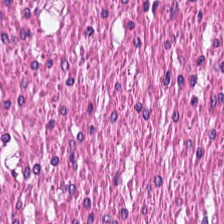H&E — Classification — muscularis.
